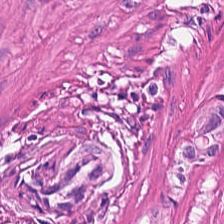Q: What does this patch show?
A: It is smooth muscle.
